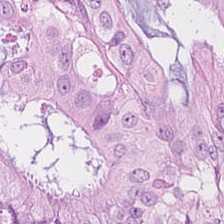H&E.
This field is colorectal adenocarcinoma epithelium.
